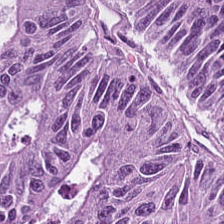Stain: hematoxylin and eosin.
Classification: adenocarcinoma.
